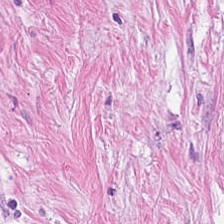The tissue type is cancer-associated stroma.
